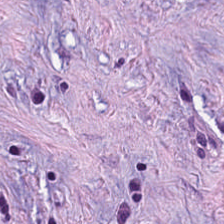0.5 µm/px; H&E — Q: Classify this patch.
A: It is tumor stroma.
